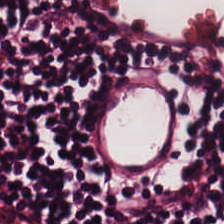H&E-stained tissue section. Tissue type: lymphocyte aggregate.
